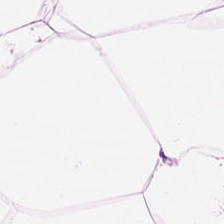Showing adipose tissue.
